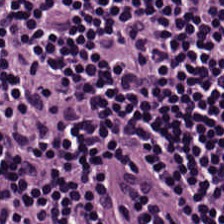H&E-stained tissue section — Lymphocytes.
